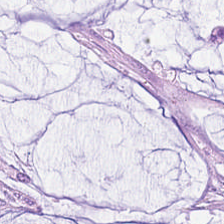H&E stain — Tissue — mucin.
